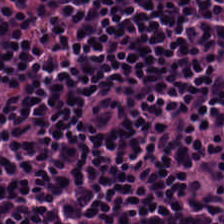20× equivalent magnification; H&E; formalin-fixed paraffin-embedded section.
Predominant tissue = lymphocytic infiltrate.
